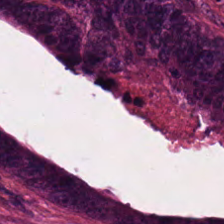20× equivalent magnification · H&E. Colorectal adenocarcinoma.
